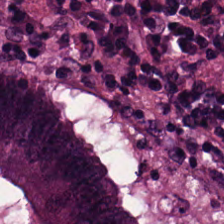This patch shows tumor epithelium.
